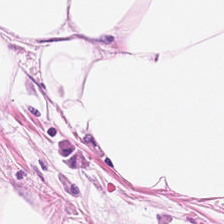Tissue type — adipose.
